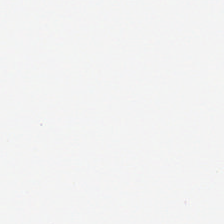H&E stain.
Empty field — background.
